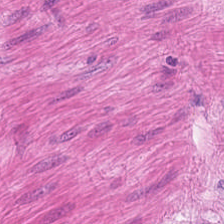Hematoxylin and eosin.
Classification: smooth-muscle tissue.
